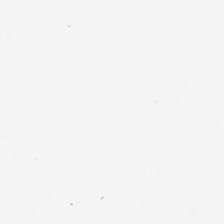H&E stain. Background — no tissue in this field.
